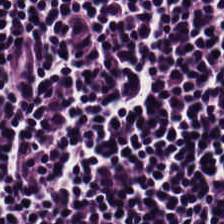Lymphocyte aggregate.
